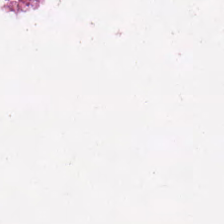H&E-stained tissue section — Tissue: debris.
